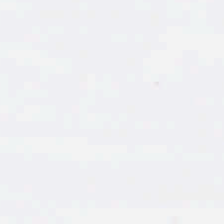20× equivalent magnification · hematoxylin and eosin.
Q: What is shown in this field?
A: It is empty background.
